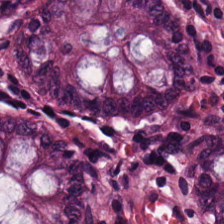H&E.
Predominant tissue = non-neoplastic colon mucosa.
